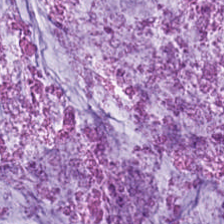Showing extracellular mucin.
